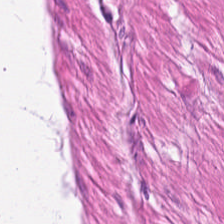Hematoxylin-and-eosin stained section. 224×224 px patch. Showing muscularis.
